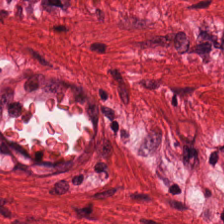0.5 µm per pixel; H&E-stained tissue section. This patch shows smooth muscle.
